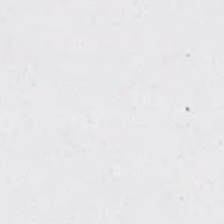Hematoxylin-and-eosin stained section; 224×224 pixel tile. {"content": "background (no tissue)"}
